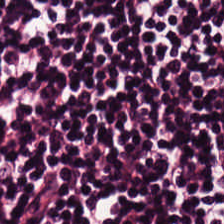H&E. Tissue class: lymphoid infiltrate.
